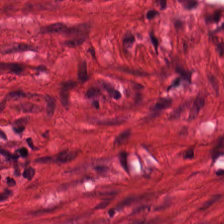Hematoxylin and eosin. Predominantly smooth muscle.
